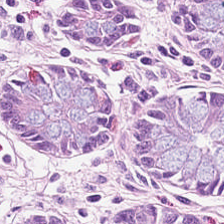224×224 pixel tile · hematoxylin and eosin. Q: Classify this patch.
A: This is benign colonic mucosa.
